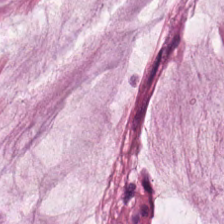Predominant tissue: mucin.
